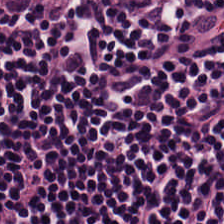Tissue: lymphoid infiltrate.
